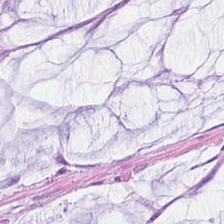H&E. Predominantly extracellular mucin.
